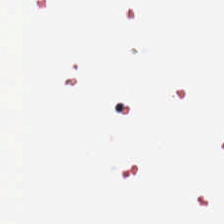H&E.
Q: What does this patch show?
A: Background.
